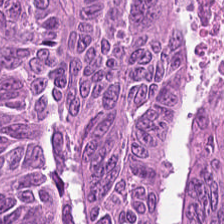Impression → colorectal adenocarcinoma.
